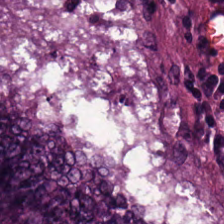0.5 µm per pixel · hematoxylin-and-eosin stained section — Predominant tissue: colorectal adenocarcinoma.
